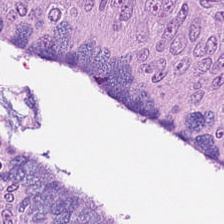H&E-stained tissue section; 0.5 microns per pixel.
The tissue type is colorectal adenocarcinoma.
